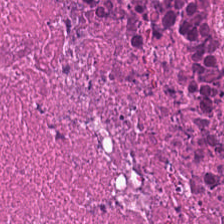Stain: H&E-stained tissue section.
Tile size: 224×224 px tile.
Tissue type: cellular debris.
